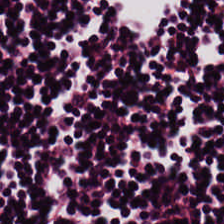Q: What is shown in this field?
A: Lymphocytes.
